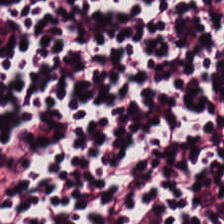Stain: H&E.
Acquisition: brightfield microscopy.
Tissue type: lymphoid infiltrate.
